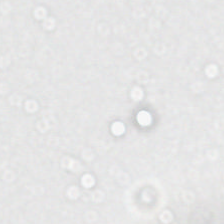Content: no tissue.
